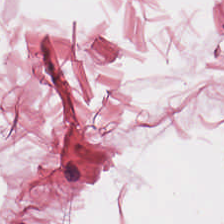FFPE tissue section; H&E — Predominantly adipose tissue.
